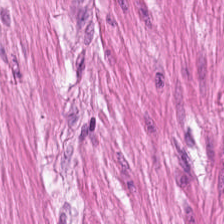Hematoxylin and eosin — Showing smooth muscle.
